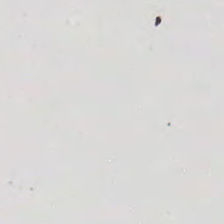H&E — Content: background.
